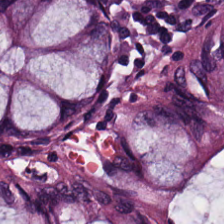FFPE; hematoxylin-and-eosin stained section. Finding → non-neoplastic colon mucosa.
